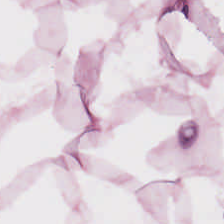H&E-stained section; the field shows adipocytes.
